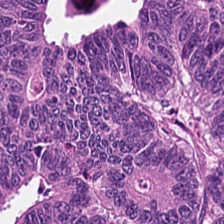Stain: hematoxylin and eosin.
Tissue type: colorectal adenocarcinoma epithelium.
